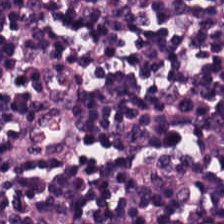H&E. This patch shows lymphocyte aggregate.
